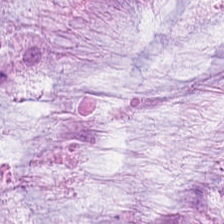Stain: hematoxylin and eosin.
Classification: mucin.
